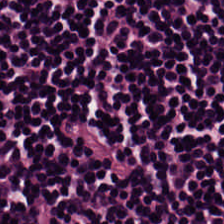Stain: H&E-stained tissue section.
Preparation: FFPE.
Classification: lymphocytes.
